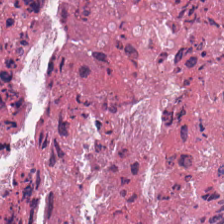Q: What is shown here?
A: This is cellular debris.
